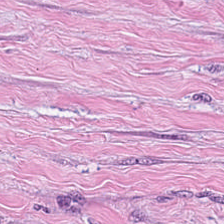0.5 microns per pixel; hematoxylin-and-eosin stained section.
Classification = tumor stroma.
